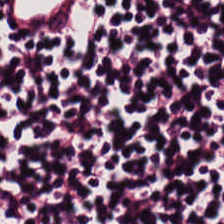Stain: H&E stain.
Tissue type: lymphocyte aggregate.
